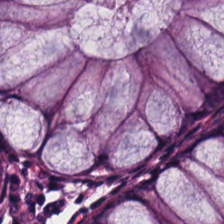{"tissue_type": "normal colonic mucosa"}
